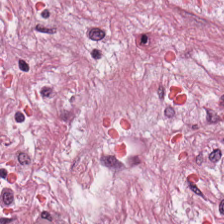H&E stain.
This field is tumor stroma.
